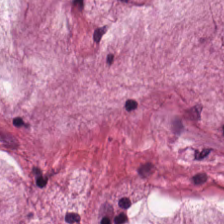Hematoxylin and eosin.
Predominantly mucus.
